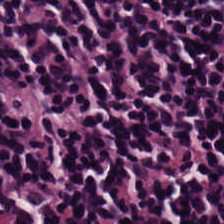H&E-stained tissue section. 0.5 µm per pixel. Histology — lymphocytes.
